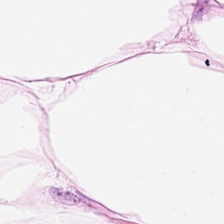Hematoxylin-and-eosin stained section; 20× equivalent magnification; 224×224 px tile. Predominant tissue: fat tissue.
